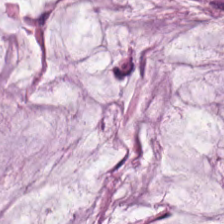Hematoxylin-and-eosin stained section.
Classification: mucus.
